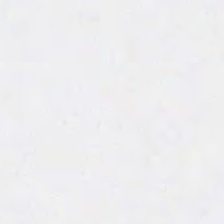Hematoxylin-and-eosin stained section. Q: Classify this patch.
A: This is empty background.
